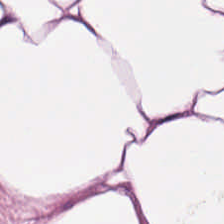H&E stain — Histology → adipose.
